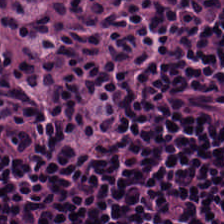H&E-stained tissue section; WSI patch.
The predominant tissue is lymphocytic infiltrate.
